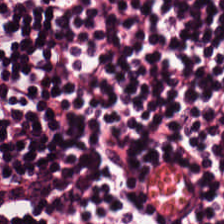Whole-slide-image patch. 0.5 µm/px. Hematoxylin-and-eosin stained section.
Showing lymphocyte aggregate.
